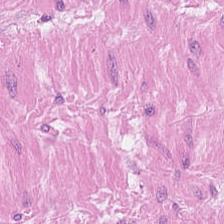Hematoxylin and eosin.
Impression — smooth muscle.
